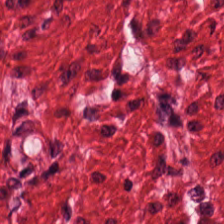0.5 µm/px · brightfield microscopy · hematoxylin and eosin — This patch shows muscularis.
